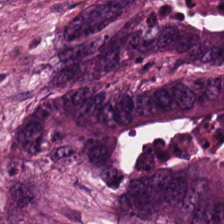224×224 pixel tile; hematoxylin-and-eosin stained section.
Tissue type — colorectal adenocarcinoma epithelium.
